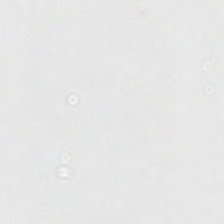Stain: hematoxylin and eosin.
Acquisition: WSI patch.
Tile size: 224×224 px patch.
Content: no tissue.
